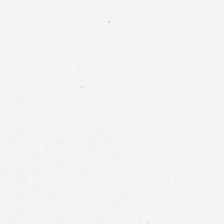0.5 microns per pixel; hematoxylin-and-eosin stained section — Content = no tissue.
